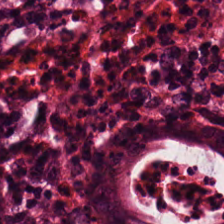Stain: hematoxylin and eosin.
Predominant tissue: non-neoplastic colon mucosa.
